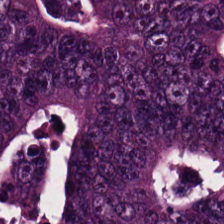Finding → adenocarcinoma.
